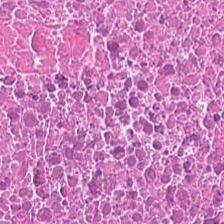Q: What does this patch show?
A: It is debris.
